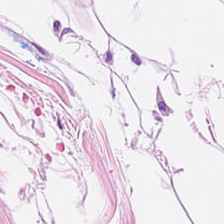Hematoxylin and eosin; 0.5 µm/px; formalin-fixed paraffin-embedded section — This field is adipose tissue.
